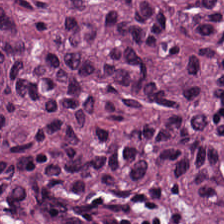H&E-stained tissue section.
{"tissue_type": "colorectal adenocarcinoma epithelium"}
